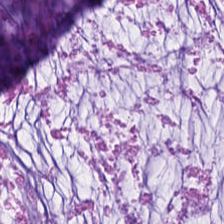Stain: H&E-stained tissue section.
Tissue: mucin.
